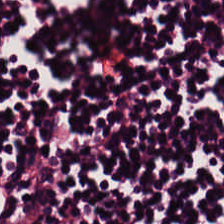Whole-slide-image patch; hematoxylin-and-eosin stained section — Histology → lymphocytes.
